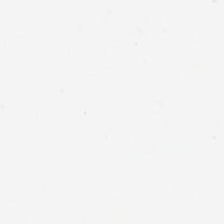224×224 pixel tile; H&E stain; brightfield — Classification — background.
